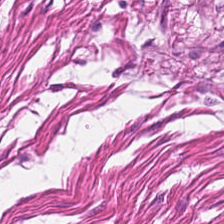0.5 µm/px · H&E stain. This patch shows smooth muscle.
